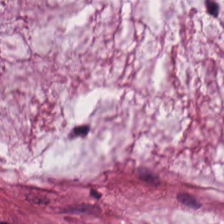The tissue type is mucin.
